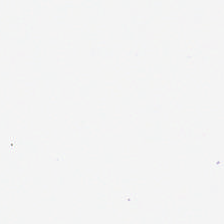Q: What is shown in this field?
A: It is empty background.
